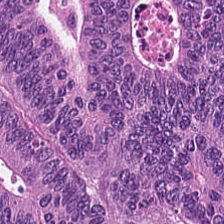Stain: H&E.
Tissue: tumor epithelium.
